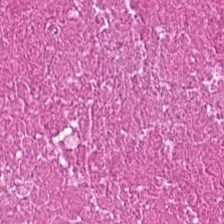H&E. 224×224 px patch. This field is cellular debris.
